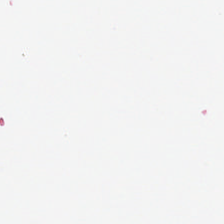Hematoxylin-and-eosin stained section; FFPE tissue section — Impression — background (no tissue).
